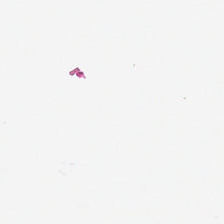H&E stain. No tissue.
